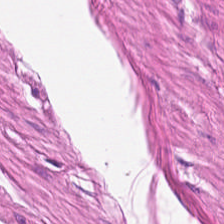H&E-stained tissue section. Q: Identify the tissue.
A: This is muscularis.
